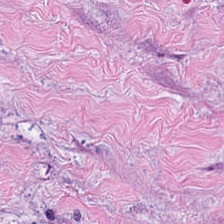H&E-stained tissue section; 224×224 px patch.
This patch shows cancer-associated stroma.
